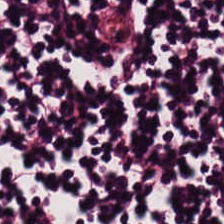H&E — lymphocyte aggregate.
